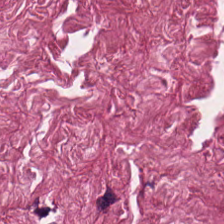Brightfield microscopy. H&E. FFPE.
{"tissue_type": "tumor stroma"}
